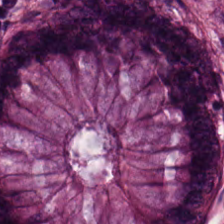224×224 px tile · H&E-stained tissue section · formalin-fixed paraffin-embedded section — Q: What is shown here?
A: It is normal colon mucosa.
